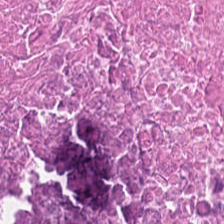FFPE tissue section · hematoxylin-and-eosin stained section.
Tissue: debris.
